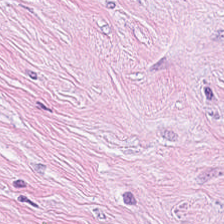Hematoxylin-and-eosin section: desmoplastic stroma.
